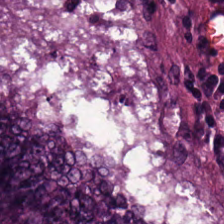H&E — Tissue type — malignant epithelium.
